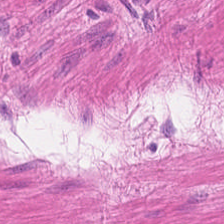Finding → smooth muscle.
